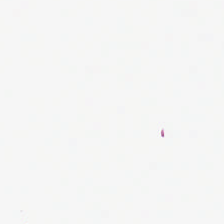Hematoxylin and eosin. Formalin-fixed paraffin-embedded section. Histology — empty background.
